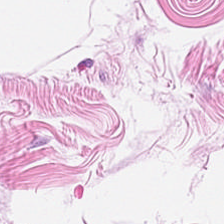Predominantly adipocytes.
